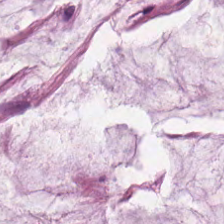Hematoxylin-and-eosin stained section.
Histology — mucus.
